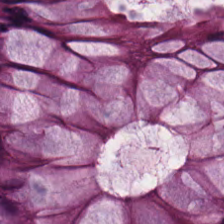H&E stain.
Q: What tissue is shown?
A: Normal colon mucosa.
